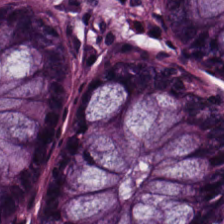H&E-stained tissue section. The tissue class is benign colonic mucosa.
